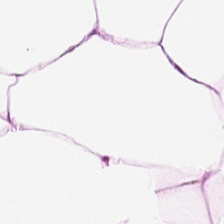FFPE; 0.5 microns per pixel; hematoxylin and eosin. Q: What tissue type is shown here?
A: It is adipocytes.
